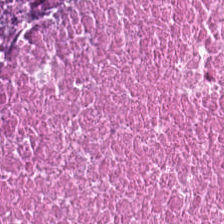Hematoxylin and eosin — This field is cellular debris.
